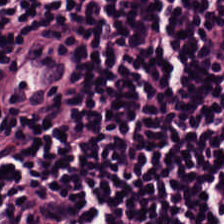H&E stain; brightfield; 224×224 px patch. {"tissue_type": "lymphocytic infiltrate"}
